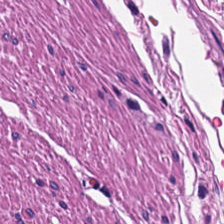Whole-slide-image patch. FFPE tissue section. Hematoxylin-and-eosin stained section.
Q: What type of tissue is this?
A: The field shows smooth-muscle tissue.
